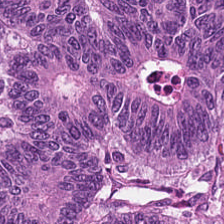H&E — {"tissue_type": "adenocarcinoma"}
